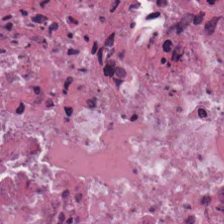H&E-stained tissue section. This field is necrotic debris.
